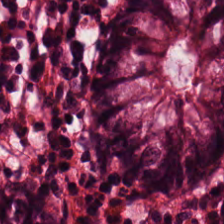0.5 microns per pixel · H&E-stained tissue section — Showing benign colonic mucosa.
